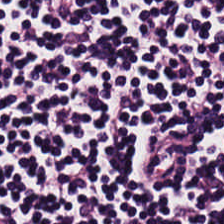Hematoxylin and eosin. Tissue class — lymphocyte aggregate.
